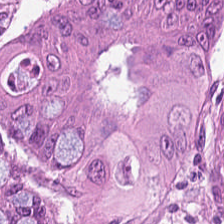H&E.
Classification = tumor epithelium.
